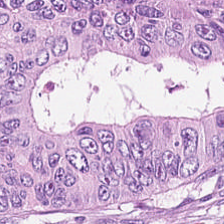Hematoxylin-and-eosin section: tumor epithelium.
